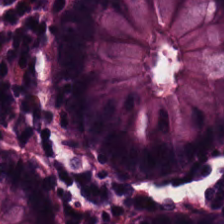H&E.
Benign colonic mucosa.
